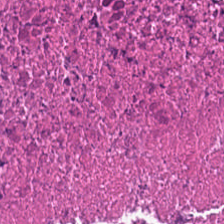Formalin-fixed paraffin-embedded section. Hematoxylin and eosin. Q: Identify the tissue.
A: Debris.
